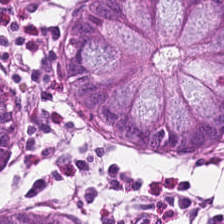Q: Classify this patch.
A: The field shows benign colonic mucosa.
